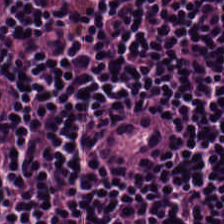Formalin-fixed paraffin-embedded section; hematoxylin and eosin — Q: Classify this patch.
A: The field shows lymphoid infiltrate.
